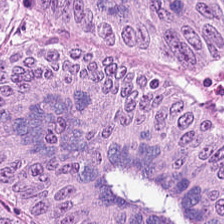Hematoxylin and eosin — The predominant tissue is malignant epithelium.
